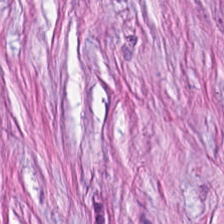224×224 px tile. H&E-stained tissue section.
Showing tumor-associated stroma.
